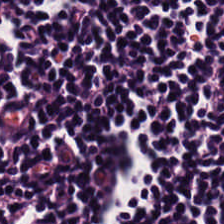Hematoxylin-and-eosin stained section — Q: What does this patch show?
A: It is lymphocyte aggregate.
